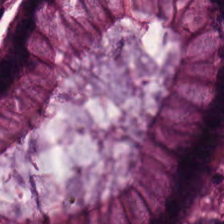FFPE. H&E-stained tissue section. 224×224 px tile. This patch shows non-neoplastic colon mucosa.
